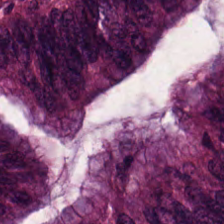H&E · 224×224 px tile.
This patch shows malignant epithelium.
